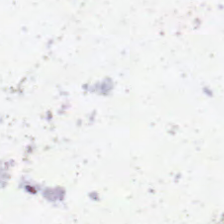Brightfield microscopy. 0.5 µm per pixel. Hematoxylin-and-eosin stained section. {"content": "no tissue"}
